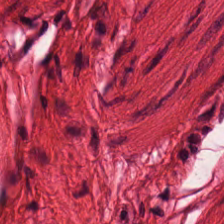FFPE tissue section · H&E.
This patch shows smooth-muscle tissue.
